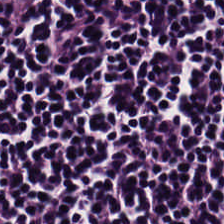Stain: hematoxylin-and-eosin stained section.
Tissue class: lymphocytic infiltrate.
